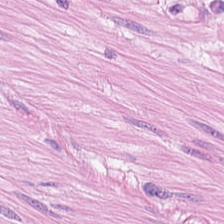Brightfield. FFPE. Hematoxylin and eosin.
This field is smooth-muscle tissue.
